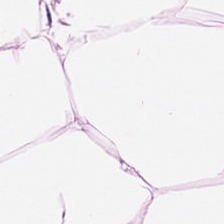H&E — Q: Identify the tissue.
A: It is adipocytes.
